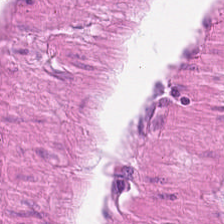Hematoxylin-and-eosin stained section — Muscularis.
